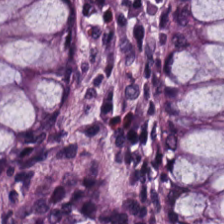H&E-stained tissue section. Tissue type — normal colon mucosa.
